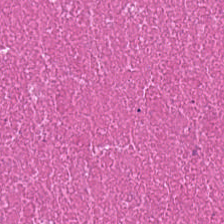WSI patch. H&E-stained tissue section. FFPE tissue section. {"tissue_type": "necrotic debris"}
